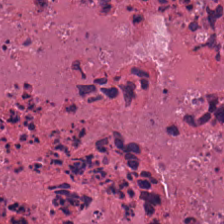Hematoxylin-and-eosin stained section.
Tissue type: debris.
